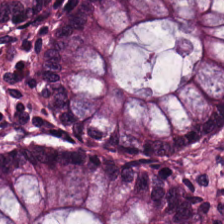0.5 microns per pixel · brightfield · H&E stain.
Q: What tissue type is shown here?
A: Normal colon mucosa.
